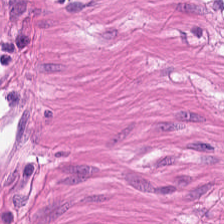H&E · 0.5 µm per pixel. This patch shows smooth-muscle tissue.
